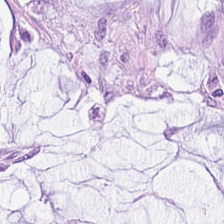0.5 µm per pixel. Brightfield microscopy. H&E stain.
Finding → extracellular mucin.
